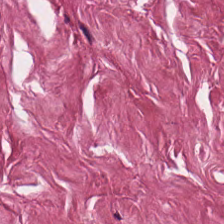20× equivalent magnification · hematoxylin-and-eosin stained section. {"tissue_type": "tumor stroma"}
